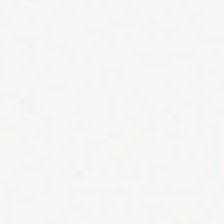H&E-stained tissue section; brightfield.
Field content = no tissue.
